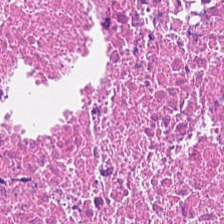{"tissue_type": "necrotic debris"}
